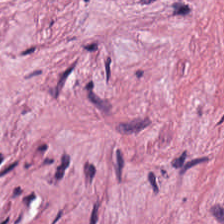Hematoxylin-and-eosin stained section — Tissue: desmoplastic stroma.
